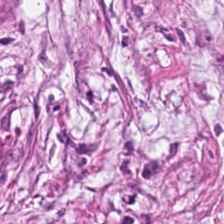This field is desmoplastic stroma.
